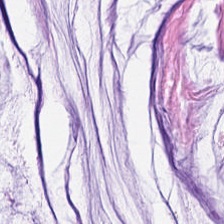Histology — extracellular mucin.
